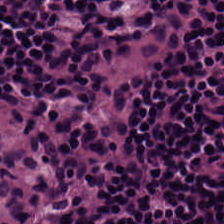Stain: H&E stain.
Predominant tissue: lymphoid infiltrate.
